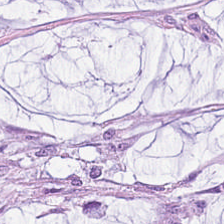Tissue class: mucin.
